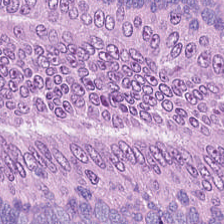H&E-stained tissue section.
Q: What does this patch show?
A: This is tumor epithelium.
